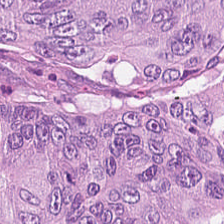H&E stain; 0.5 µm/px. Q: What tissue type is shown here?
A: This is colorectal adenocarcinoma epithelium.
